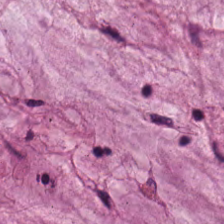Hematoxylin-and-eosin stained section.
Impression → extracellular mucin.
